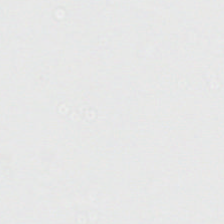The content is background.
